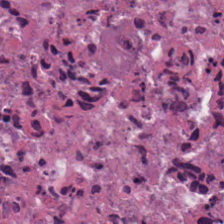H&E-stained tissue section; formalin-fixed paraffin-embedded section; brightfield microscopy. This patch shows debris.
